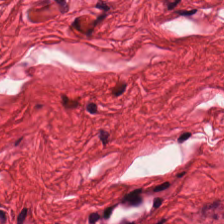Tissue class: smooth-muscle tissue.
